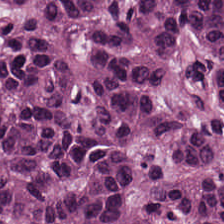Hematoxylin-and-eosin stained section · FFPE tissue section · 20× equivalent magnification.
The tissue type is colorectal adenocarcinoma.
